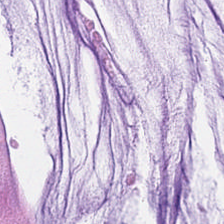Stain: hematoxylin and eosin.
Tissue type: mucus.
